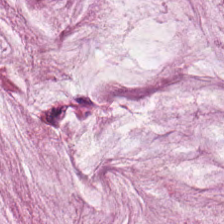Brightfield · H&E-stained tissue section · FFPE tissue section. Finding → mucus.
